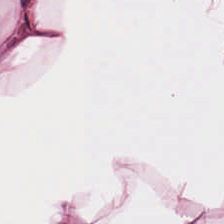Q: What does this patch show?
A: The field shows adipocytes.
